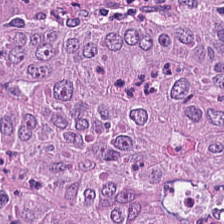Hematoxylin and eosin. Colorectal adenocarcinoma.
